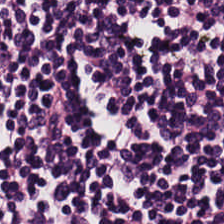Hematoxylin and eosin. Formalin-fixed paraffin-embedded section — Q: What does this patch show?
A: It is lymphocyte aggregate.
